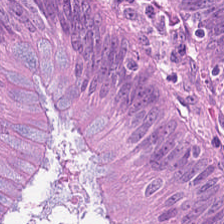H&E-stained tissue section. 20× equivalent magnification.
This field is adenocarcinoma.
